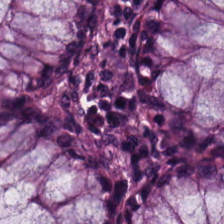H&E-stained tissue section.
The tissue here is normal colon mucosa.
